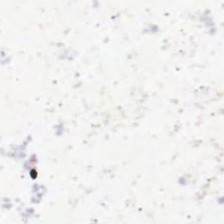Brightfield; hematoxylin and eosin; 0.5 µm per pixel.
Histology — no tissue.
